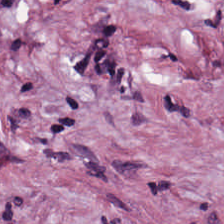224×224 px patch · H&E stain · brightfield.
The tissue here is cancer-associated stroma.
